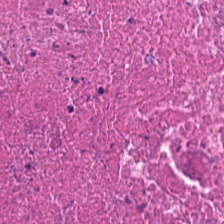Stain: H&E-stained tissue section.
Tissue class: necrotic debris.
